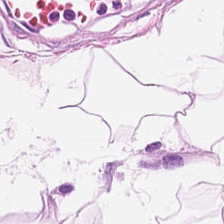Formalin-fixed paraffin-embedded section; H&E stain — Q: What is the predominant tissue type?
A: This is adipose.
